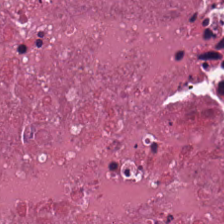Stain: H&E-stained tissue section.
Tissue type: debris.
